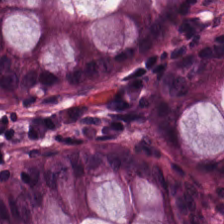Tissue class: normal colon mucosa.
